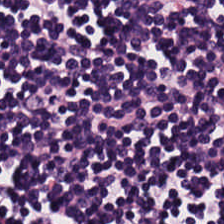H&E · whole-slide-image patch · 0.5 microns per pixel. This patch shows lymphoid infiltrate.
